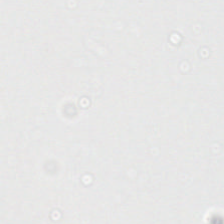Background.
